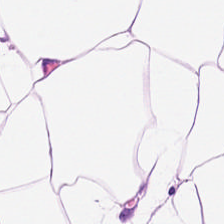Brightfield microscopy; hematoxylin and eosin — This field is adipose tissue.
